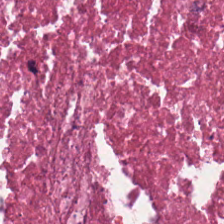Hematoxylin-and-eosin stained section — Q: What does this patch show?
A: This is debris.
